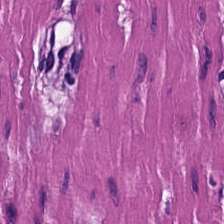20× equivalent magnification; hematoxylin-and-eosin stained section. This field is muscularis.
